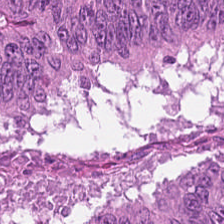Stain: hematoxylin and eosin.
Tissue: colorectal adenocarcinoma.
